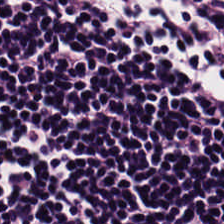The predominant tissue is lymphocyte aggregate.
